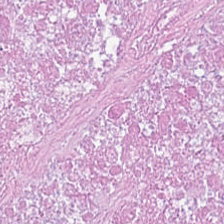FFPE; brightfield microscopy; hematoxylin and eosin. The classification is cellular debris.
